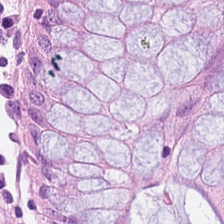Hematoxylin-and-eosin stained section. The tissue type is normal colon mucosa.
